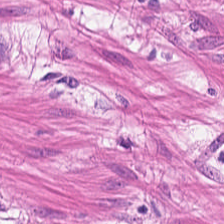Muscularis.
